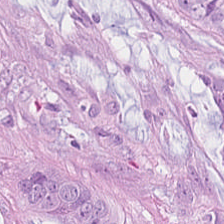H&E-stained tissue section.
Tissue type: malignant epithelium.
